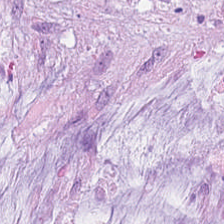The predominant tissue is mucus.
